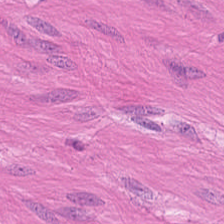Stain: H&E stain.
Tissue: smooth-muscle tissue.
